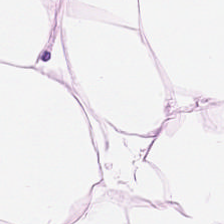H&E stain — This patch shows adipose.
